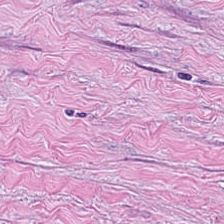Hematoxylin-and-eosin stained section. 224×224 px patch. The predominant tissue is desmoplastic stroma.
